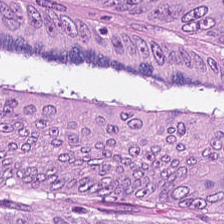H&E — colorectal adenocarcinoma.
